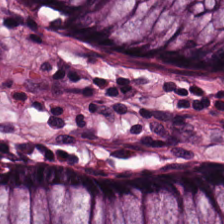H&E-stained tissue section. Histology — normal colon mucosa.
